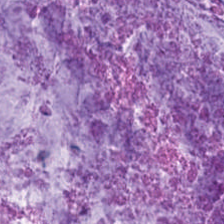Stain: H&E.
Predominant tissue: extracellular mucin.
